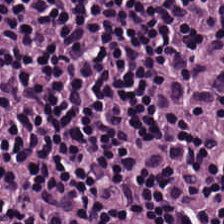Hematoxylin-and-eosin stained section; 0.5 microns per pixel. The tissue here is lymphoid infiltrate.
